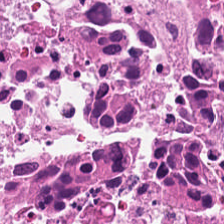0.5 µm/px · hematoxylin and eosin. Finding → debris.
